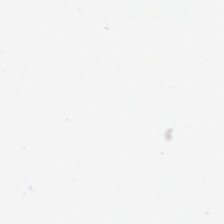224×224 px tile; hematoxylin and eosin; brightfield microscopy — Finding — background (no tissue).
